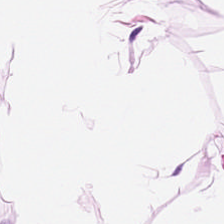{"tissue_type": "adipocytes"}
